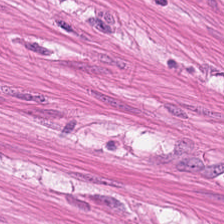H&E.
The predominant tissue is smooth muscle.
